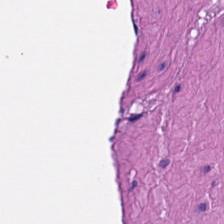H&E patch showing muscularis.
